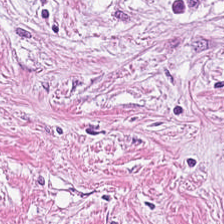The classification is desmoplastic stroma.
